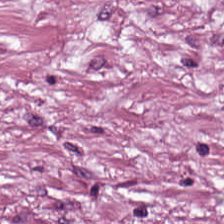H&E patch showing cancer-associated stroma.
